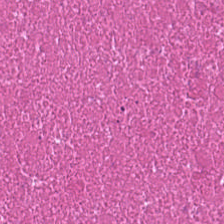Stain: H&E.
Preparation: FFPE tissue section.
Acquisition: whole-slide-image patch.
Tissue type: debris.
